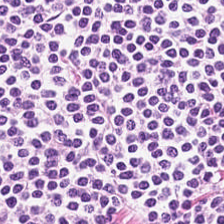Stain: H&E-stained tissue section.
Resolution: 0.5 µm/px.
Tissue type: lymphocytic infiltrate.
